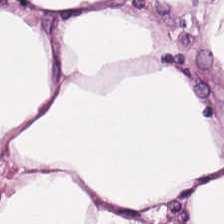H&E stain — {"tissue_type": "adipose tissue"}
